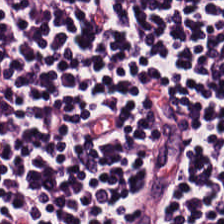H&E — Lymphocytes.
